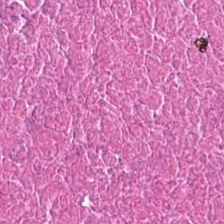Hematoxylin and eosin.
Tissue: necrotic debris.
